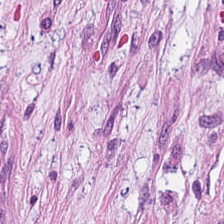H&E — The tissue here is cancer-associated stroma.
